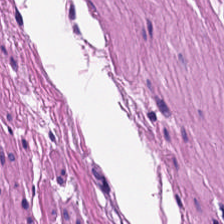Q: Classify this patch.
A: It is muscularis.
